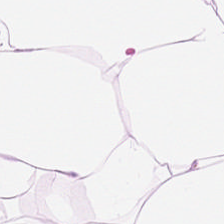H&E stain; FFPE tissue section — {"tissue_type": "adipose"}
